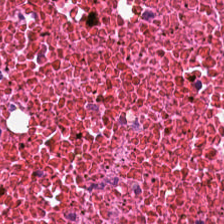Stain: H&E.
Tissue class: necrotic debris.
